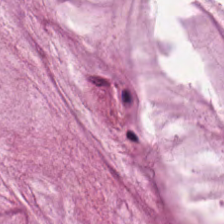FFPE tissue section. 0.5 µm/px. Hematoxylin-and-eosin stained section. The predominant tissue is mucin.
